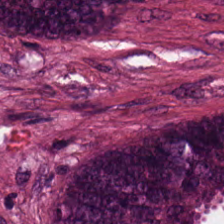0.5 microns per pixel · H&E-stained tissue section.
Q: What tissue type is shown here?
A: Malignant epithelium.
